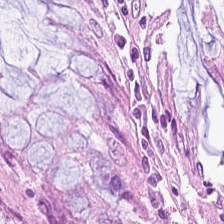H&E-stained tissue section. This field is non-neoplastic colon mucosa.
